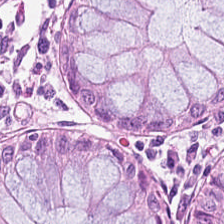Formalin-fixed paraffin-embedded section; H&E-stained tissue section — The tissue class is non-neoplastic colon mucosa.
